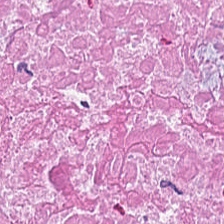Predominantly cellular debris.
